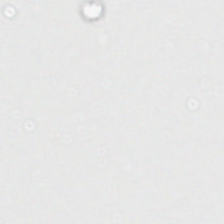Content — empty background.
